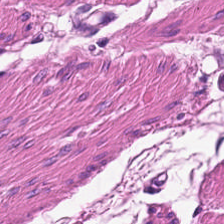H&E stain. Predominant tissue — smooth muscle.
